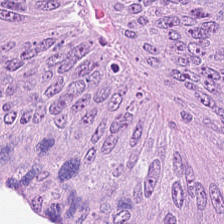H&E-stained tissue section — Q: What tissue type is shown here?
A: Adenocarcinoma.
